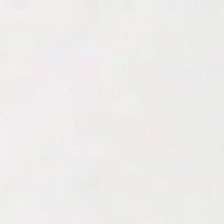Q: What does this patch show?
A: Background.
